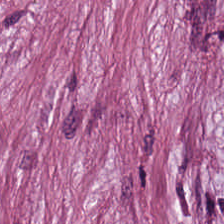Formalin-fixed paraffin-embedded section · H&E — Tissue — tumor stroma.
